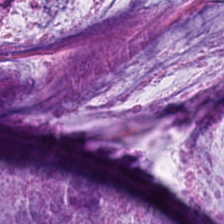FFPE tissue section; hematoxylin-and-eosin stained section; 224×224 px tile. The tissue here is mucin.
